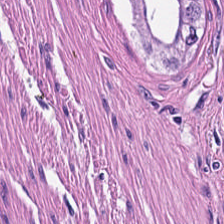This patch shows smooth muscle.
